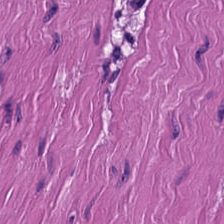H&E · 0.5 µm per pixel.
Smooth muscle.
